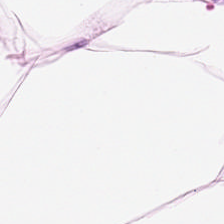Formalin-fixed paraffin-embedded section · hematoxylin-and-eosin stained section. {"tissue_type": "adipose tissue"}
